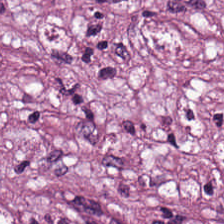Hematoxylin and eosin.
Q: What does this patch show?
A: The field shows desmoplastic stroma.
